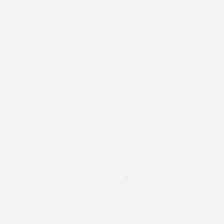Stain: H&E stain.
Content: background.
